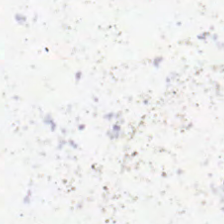224×224 px tile; hematoxylin and eosin.
Q: Classify this patch.
A: It is no tissue.
